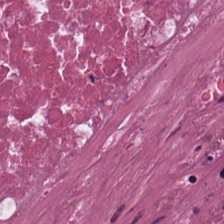FFPE. Hematoxylin-and-eosin stained section — This patch shows necrotic debris.
